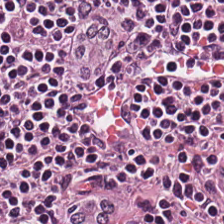Hematoxylin-and-eosin stained section — Showing lymphocytes.
